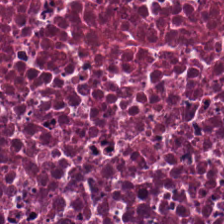Cellular debris.
